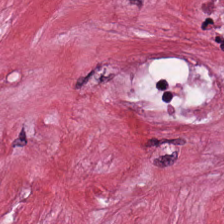Classification: cancer-associated stroma.
